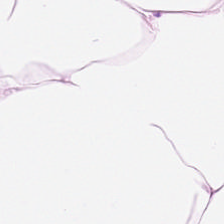H&E-stained section; the field shows adipocytes.
